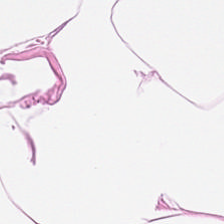Hematoxylin-and-eosin stained section. The tissue here is adipose.
